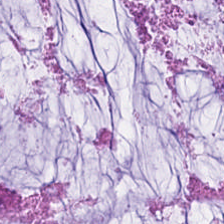224×224 px patch. H&E. Impression — mucus.
